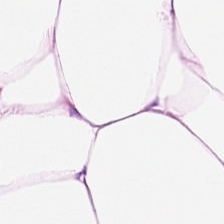Hematoxylin and eosin.
Tissue class: adipocytes.
